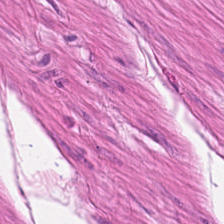Hematoxylin-and-eosin stained section · 224×224 px tile · formalin-fixed paraffin-embedded section.
This patch shows smooth muscle.
